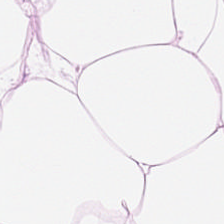Whole-slide-image patch; 224×224 px tile; hematoxylin and eosin — Showing adipose.
